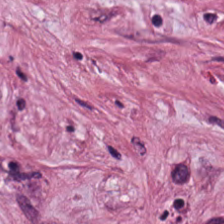H&E-stained tissue section.
Predominantly desmoplastic stroma.
